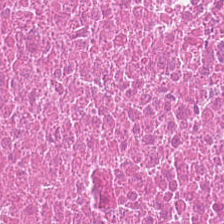This field is cellular debris.
